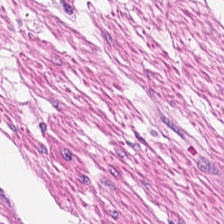Formalin-fixed paraffin-embedded section. 224×224 pixel tile. Hematoxylin and eosin.
The tissue here is muscularis.
